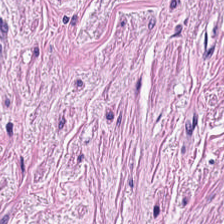H&E.
The tissue here is muscularis.
